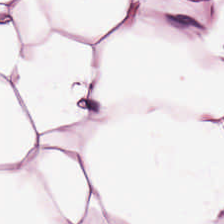Tissue type = adipose.
